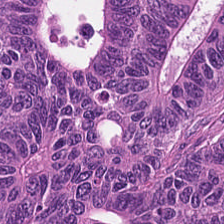H&E — Predominant tissue = colorectal adenocarcinoma epithelium.
